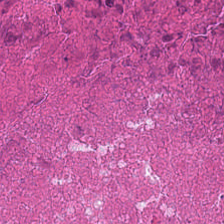H&E stain; brightfield — This patch shows necrotic debris.
